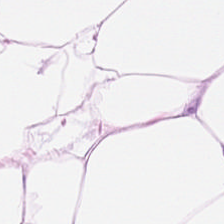Brightfield microscopy · 224×224 px patch · hematoxylin-and-eosin stained section. The tissue here is adipocytes.
